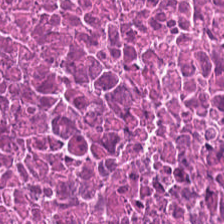Formalin-fixed paraffin-embedded section · hematoxylin and eosin. Q: What type of tissue is this?
A: This is necrotic debris.
